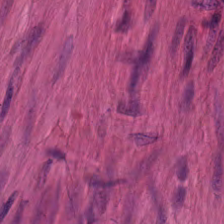H&E — The classification is smooth muscle.
